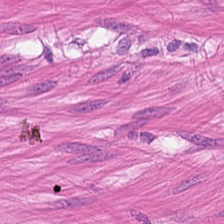Hematoxylin-and-eosin stained section · WSI patch — Q: What is the predominant tissue type?
A: The field shows muscularis.
